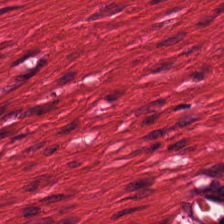0.5 µm/px · hematoxylin and eosin. Tissue class — smooth-muscle tissue.
